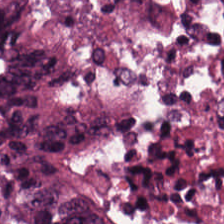Stain: H&E stain.
Tissue: malignant epithelium.
